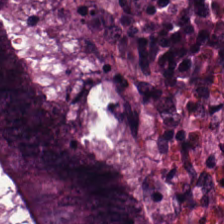H&E-stained tissue section. This patch shows tumor epithelium.
